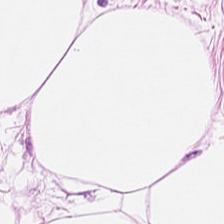224×224 px tile. Hematoxylin-and-eosin stained section.
This field is adipocytes.
